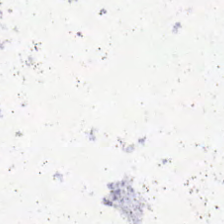Q: What does this patch show?
A: It is no tissue.
